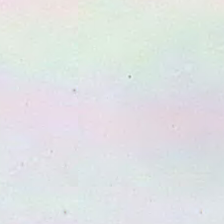H&E.
This field is background (no tissue).
